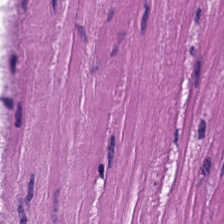The classification is smooth muscle.
